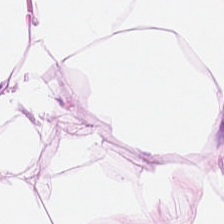H&E-stained tissue section. Showing adipose tissue.
